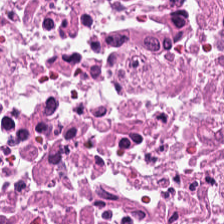The tissue type is cellular debris.
